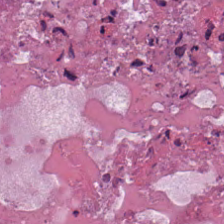Stain: H&E.
Tissue class: cellular debris.
